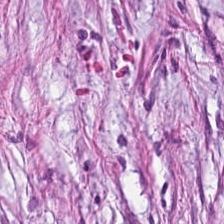H&E stain. Finding → tumor stroma.
